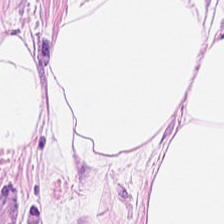Hematoxylin-and-eosin stained section; FFPE tissue section — Showing fat tissue.
